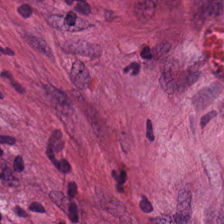Stain: H&E-stained tissue section.
Tissue: cancer-associated stroma.
